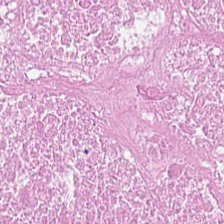The classification is debris.
